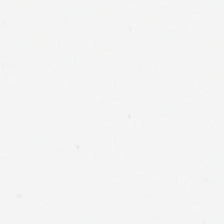Hematoxylin-and-eosin stained section. This field is background (no tissue).
